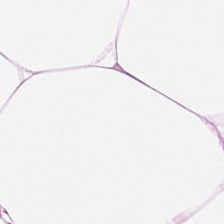H&E stain · 224×224 pixel tile. Impression → adipose tissue.
